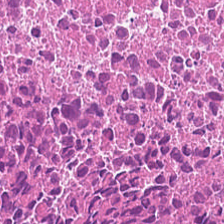H&E-stained tissue section. 224×224 pixel tile. FFPE tissue section. This patch shows cellular debris.
